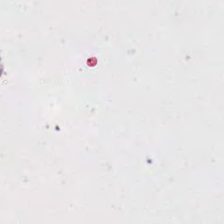Hematoxylin and eosin.
No tissue.
